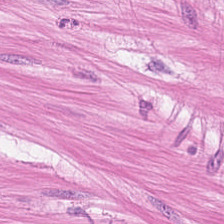WSI patch; hematoxylin and eosin; 0.5 µm/px — This field is smooth muscle.
